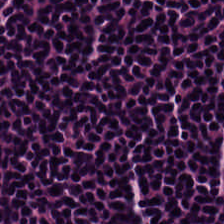Hematoxylin-and-eosin stained section — The tissue here is lymphocytic infiltrate.
